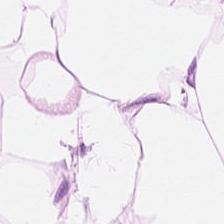Fat tissue.
